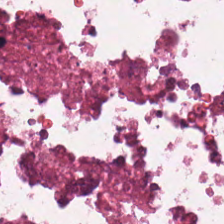H&E stain. Q: What does this patch show?
A: The field shows debris.
